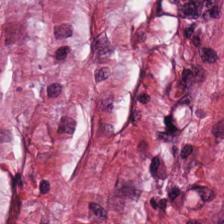Whole-slide-image patch · H&E-stained tissue section · 224×224 px patch. Predominantly desmoplastic stroma.
